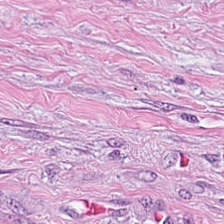H&E-stained section; the field shows desmoplastic stroma.
